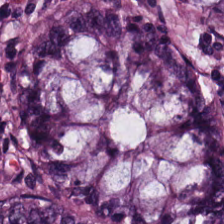Q: What is the predominant tissue type?
A: This is normal colon mucosa.
